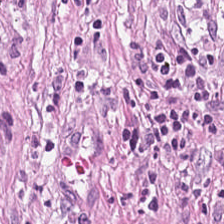Stain: hematoxylin and eosin.
Acquisition: WSI patch.
Tissue type: cancer-associated stroma.
